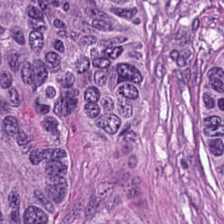20× equivalent magnification. Hematoxylin-and-eosin stained section — Q: What is the predominant tissue type?
A: The field shows malignant epithelium.
